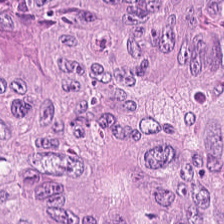Stain: H&E-stained tissue section.
Acquisition: whole-slide-image patch.
Tissue class: tumor epithelium.
